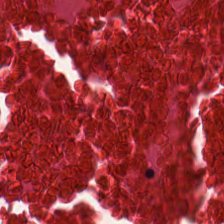FFPE · hematoxylin and eosin. Q: What is shown in this field?
A: The field shows debris.
